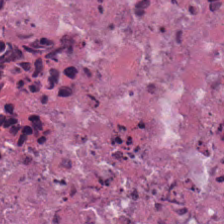Hematoxylin and eosin.
The tissue type is necrotic debris.
